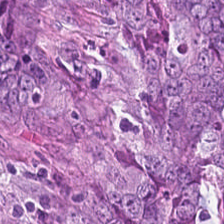Hematoxylin-and-eosin stained section — The predominant tissue is tumor epithelium.
